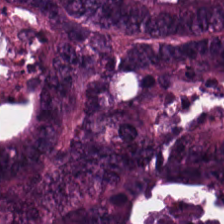H&E. 0.5 µm/px.
Predominant tissue — colorectal adenocarcinoma.
